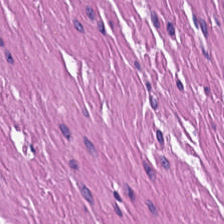Brightfield microscopy · H&E stain.
Classification = muscularis.
